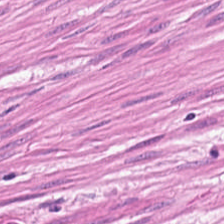0.5 µm/px · hematoxylin and eosin.
Predominant tissue — smooth-muscle tissue.
